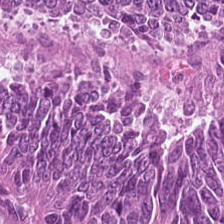Hematoxylin-and-eosin stained section.
Q: Classify this patch.
A: This is malignant epithelium.
